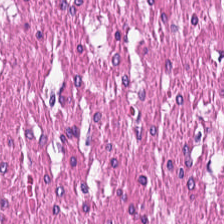H&E stain — Impression — smooth-muscle tissue.
